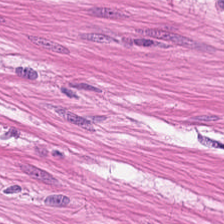H&E. 0.5 microns per pixel. 224×224 px tile. The tissue here is smooth muscle.
